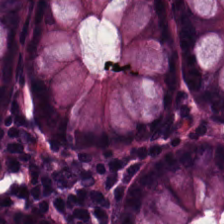H&E stain · 0.5 microns per pixel. The tissue is non-neoplastic colon mucosa.
